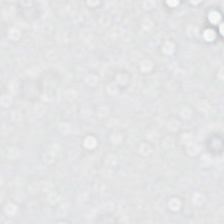Q: What does this patch show?
A: Background (no tissue).
